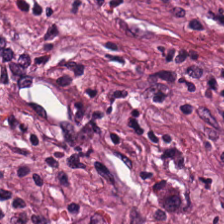Histology — desmoplastic stroma.
